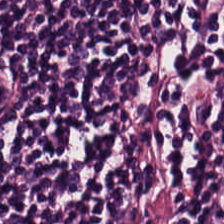Tissue: lymphoid infiltrate.
